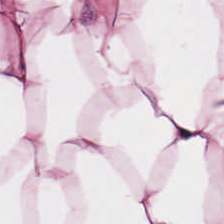Stain: hematoxylin-and-eosin stained section.
Tile size: 224×224 pixel tile.
Classification: fat tissue.
